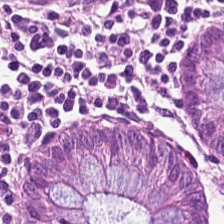H&E stain — Finding → non-neoplastic colon mucosa.
